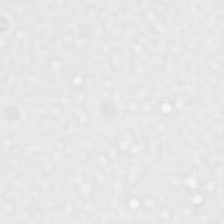H&E-stained tissue section — Field content = empty background.
